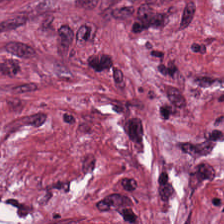Showing tumor-associated stroma.
